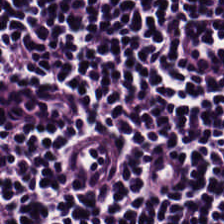Hematoxylin and eosin — Histology — lymphocytic infiltrate.
